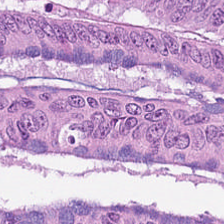Brightfield microscopy · H&E.
Predominant tissue — colorectal adenocarcinoma.
